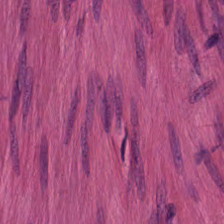Brightfield; hematoxylin and eosin — Showing smooth-muscle tissue.
